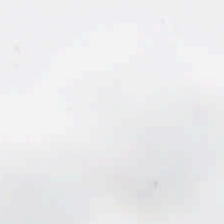The field content is background.
